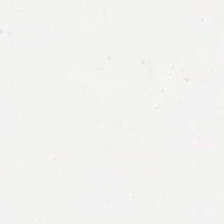H&E stain.
Q: What does this patch show?
A: It is background (no tissue).
